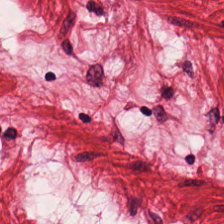Hematoxylin-and-eosin stained section; FFPE. Tissue type: smooth muscle.
